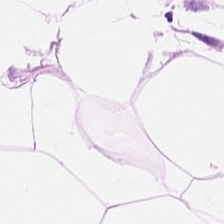FFPE tissue section; hematoxylin-and-eosin stained section; brightfield microscopy — Tissue = adipose tissue.
